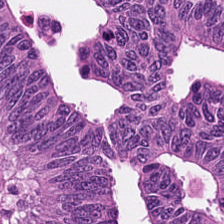Histology → tumor epithelium.
